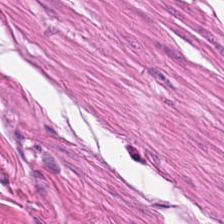Hematoxylin-and-eosin stained section — Tissue class — smooth muscle.
